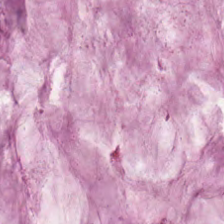20× equivalent magnification; H&E-stained tissue section; 224×224 px tile.
Showing extracellular mucin.
